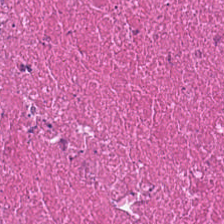H&E-stained tissue section — Tissue — debris.
